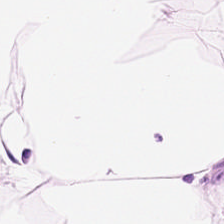Hematoxylin and eosin.
Q: What type of tissue is this?
A: The field shows adipose tissue.
